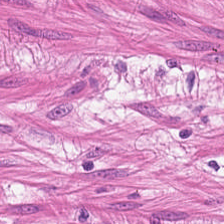WSI patch. H&E. Q: What does this patch show?
A: The field shows smooth-muscle tissue.
